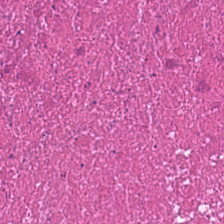Formalin-fixed paraffin-embedded section. Hematoxylin-and-eosin stained section.
The tissue class is cellular debris.
